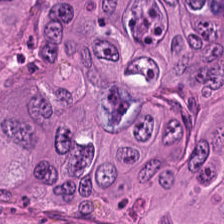H&E stain.
Showing malignant epithelium.
